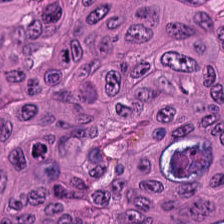FFPE; H&E-stained tissue section; brightfield microscopy.
This field is colorectal adenocarcinoma.
